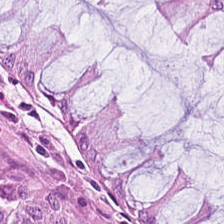H&E-stained tissue section. The predominant tissue is non-neoplastic colon mucosa.
